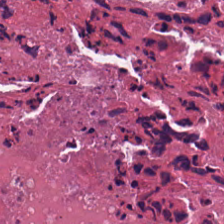Q: What type of tissue is this?
A: It is debris.
